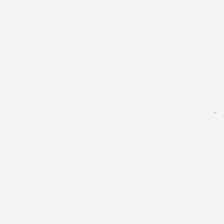H&E.
Background — no tissue in this field.
